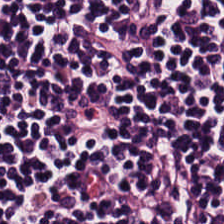Hematoxylin and eosin — Tissue — lymphocytic infiltrate.
